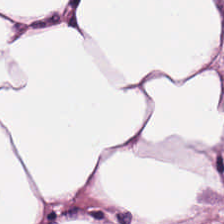Hematoxylin-and-eosin stained section — Histology — adipocytes.
